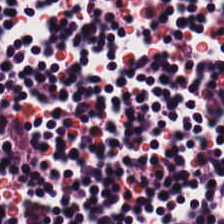Hematoxylin-and-eosin stained section.
The predominant tissue is lymphocytes.
